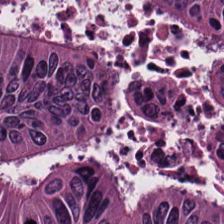Stain: hematoxylin-and-eosin stained section.
Tile size: 224×224 px tile.
Preparation: FFPE.
Predominant tissue: malignant epithelium.
